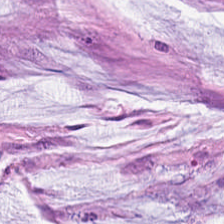H&E-stained tissue section; 224×224 px tile. The tissue class is mucin.
